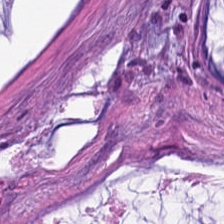224×224 px tile; H&E-stained tissue section; 20× equivalent magnification — Tissue — extracellular mucin.
